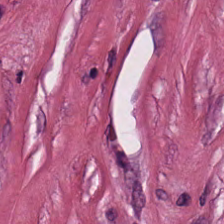Whole-slide-image patch. H&E. {"tissue_type": "desmoplastic stroma"}
